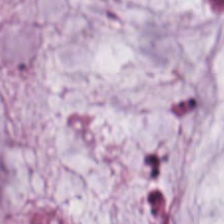H&E-stained tissue section.
Q: What tissue is shown?
A: It is mucus.
